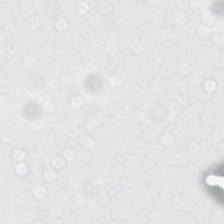H&E.
Finding → background (no tissue).
